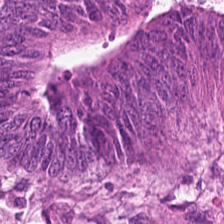FFPE tissue section. H&E. This patch shows colorectal adenocarcinoma epithelium.
